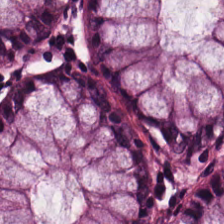Impression — benign colonic mucosa.
